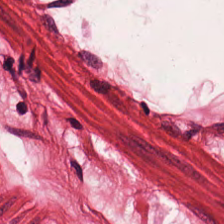Stain: H&E-stained tissue section.
Preparation: FFPE tissue section.
Predominant tissue: smooth muscle.
